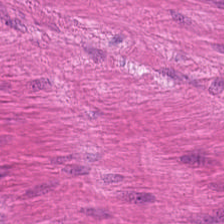Stain: H&E.
Tissue class: smooth muscle.
